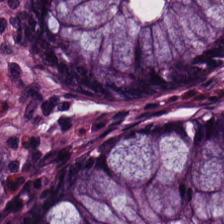Stain: H&E stain.
Tissue class: benign colonic mucosa.
